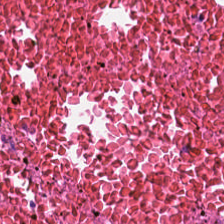224×224 pixel tile; hematoxylin-and-eosin stained section.
Predominantly cellular debris.
